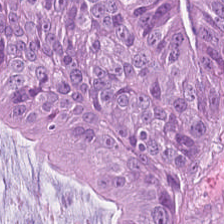224×224 pixel tile · H&E stain. Colorectal adenocarcinoma epithelium.
